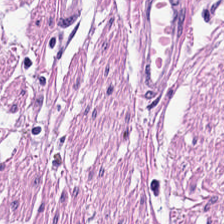Hematoxylin and eosin — This patch shows smooth muscle.
